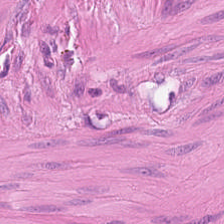Stain: H&E-stained tissue section.
Acquisition: whole-slide-image patch.
Tissue: muscularis.
